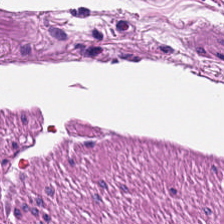Hematoxylin-and-eosin section: muscularis.
